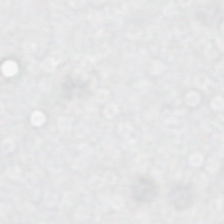Stain: hematoxylin-and-eosin stained section.
Content: background.
